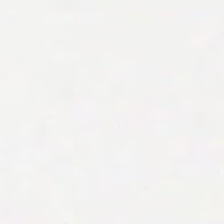Stain: hematoxylin-and-eosin stained section.
Field content: no tissue.
